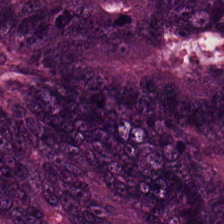224×224 px patch. H&E stain. Formalin-fixed paraffin-embedded section. Finding → malignant epithelium.
